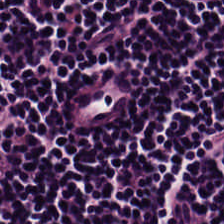Hematoxylin-and-eosin section: lymphocytes.
